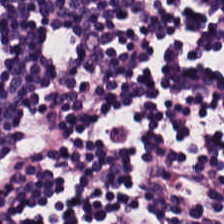Predominant tissue — lymphocytes.
